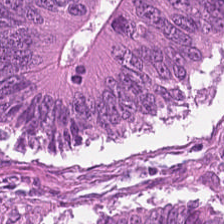Classification = colorectal adenocarcinoma epithelium.
